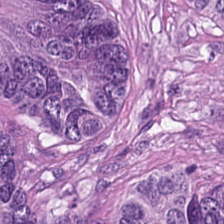Hematoxylin-and-eosin stained section. Q: What is shown in this field?
A: Malignant epithelium.
